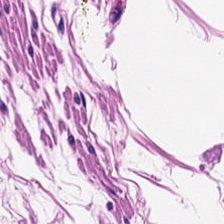This field is smooth-muscle tissue.
